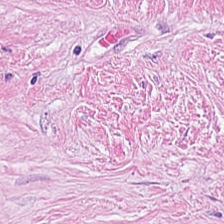Hematoxylin and eosin — Tissue type — tumor stroma.
